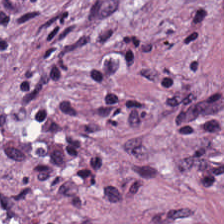0.5 microns per pixel · hematoxylin-and-eosin stained section. The tissue is cancer-associated stroma.
